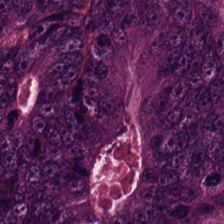H&E stain. This patch shows tumor epithelium.
